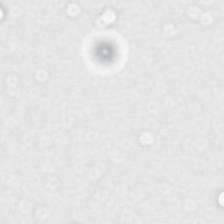Hematoxylin and eosin. FFPE — This field is background (no tissue).
